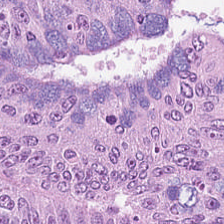Predominantly colorectal adenocarcinoma.
